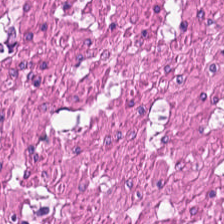FFPE tissue section. Hematoxylin and eosin. Classification = smooth-muscle tissue.
